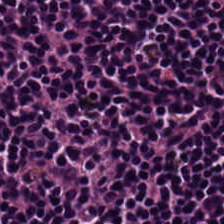H&E · 0.5 µm per pixel. Tissue class = lymphocytic infiltrate.
